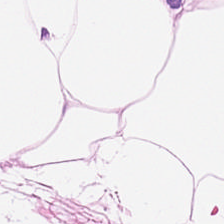H&E · FFPE · 224×224 px tile — Q: Classify this patch.
A: The field shows fat tissue.
